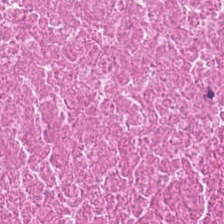Q: What does this patch show?
A: It is necrotic debris.
